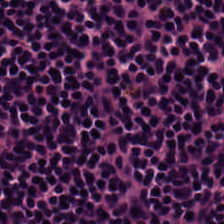H&E-stained tissue section.
Q: Classify this patch.
A: The field shows lymphocytes.
